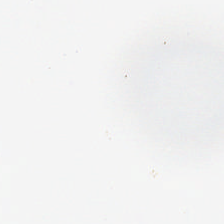224×224 pixel tile; 20× equivalent magnification; H&E stain — Q: What does this patch show?
A: It is background (no tissue).
